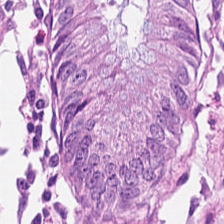H&E — This field is normal colonic mucosa.
